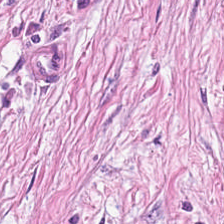H&E-stained tissue section.
This field is desmoplastic stroma.
